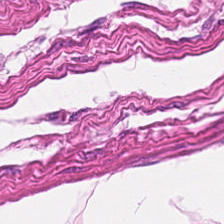H&E-stained tissue section. Impression — muscularis.
